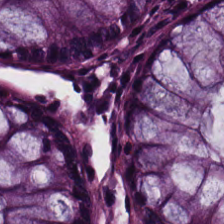0.5 µm/px; hematoxylin and eosin.
Non-neoplastic colon mucosa.
